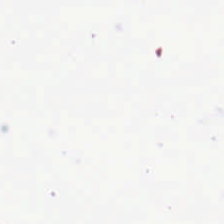Hematoxylin and eosin.
This field is background (no tissue).
